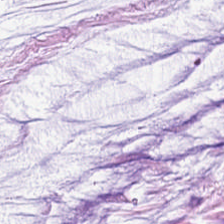H&E-stained tissue section. Q: What does this patch show?
A: The field shows extracellular mucin.
